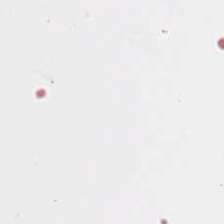H&E stain. 224×224 pixel tile.
{"content": "empty background"}
